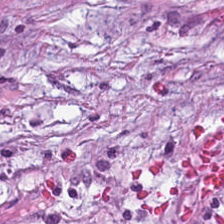H&E — Tissue class — mucin.
